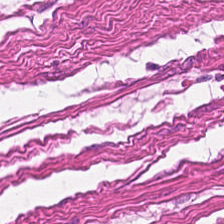Hematoxylin and eosin. Tissue — smooth muscle.
